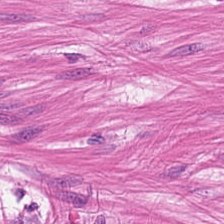H&E stain — Showing smooth-muscle tissue.
